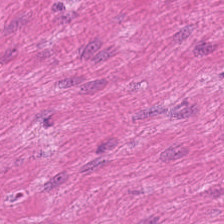Hematoxylin and eosin.
Tissue class: muscularis.
